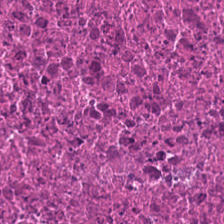Cellular debris.
